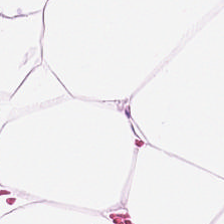Predominant tissue: adipose tissue.
